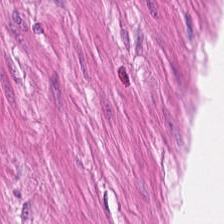224×224 pixel tile; hematoxylin-and-eosin stained section; WSI patch. Classification — smooth muscle.
